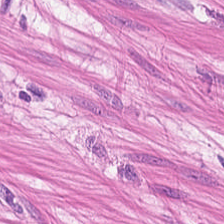Formalin-fixed paraffin-embedded section · H&E.
Predominantly muscularis.
